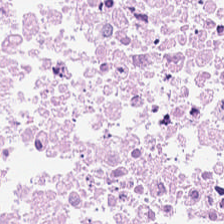Q: What type of tissue is this?
A: It is cellular debris.
